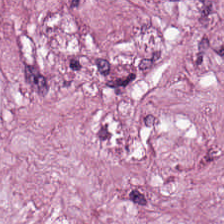Hematoxylin and eosin. Tissue = tumor-associated stroma.
